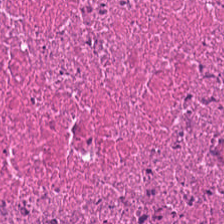0.5 µm per pixel · H&E.
Predominantly cellular debris.
